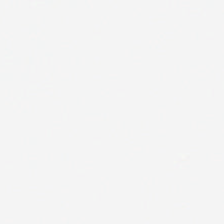{"content": "empty background"}
